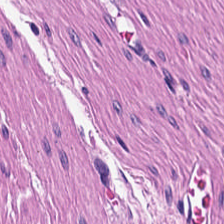H&E-stained tissue section · whole-slide-image patch. Predominantly muscularis.
